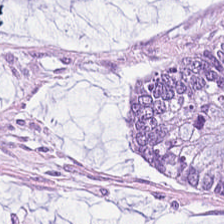H&E. Tissue = mucin.
